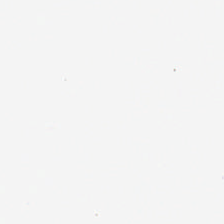Hematoxylin-and-eosin stained section; whole-slide-image patch; FFPE — Impression — no tissue.
